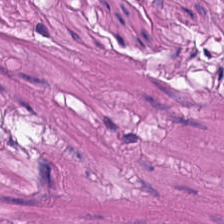Q: What does this patch show?
A: The field shows muscularis.
